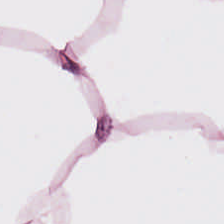The tissue type is adipose.
